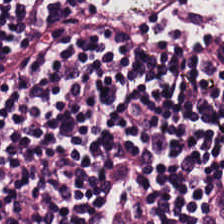The tissue is lymphoid infiltrate.
